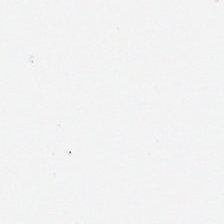Finding → background (no tissue).
